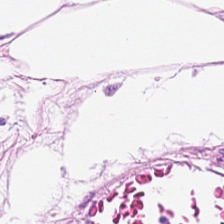Histology → adipose.
